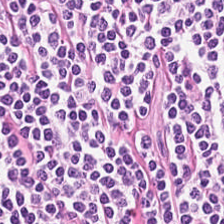Hematoxylin-and-eosin stained section; brightfield microscopy — Tissue: lymphoid infiltrate.
